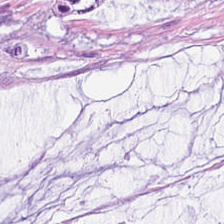Whole-slide-image patch · H&E stain · FFPE tissue section.
This patch shows mucus.
